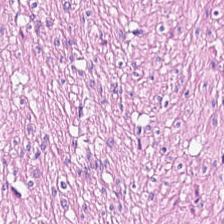Stain: hematoxylin-and-eosin stained section.
Tissue: smooth muscle.
